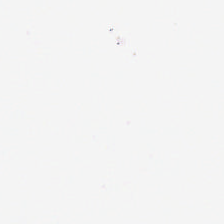H&E.
Background (no tissue).
